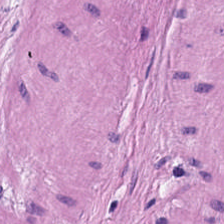H&E stain — Q: Identify the tissue.
A: The field shows smooth muscle.
